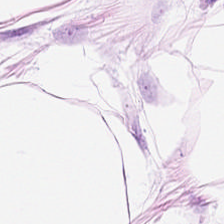H&E; 0.5 µm/px — Tissue type = fat tissue.
